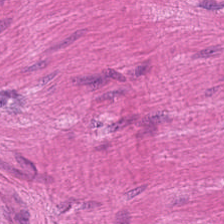Formalin-fixed paraffin-embedded section. H&E. Q: What does this patch show?
A: It is muscularis.
